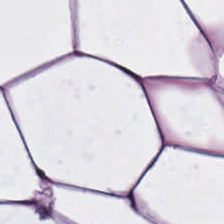Hematoxylin and eosin. {"tissue_type": "adipose tissue"}
